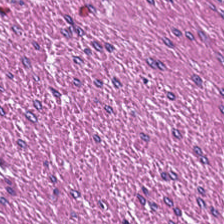224×224 px patch; hematoxylin and eosin. Q: Classify this patch.
A: The field shows muscularis.
